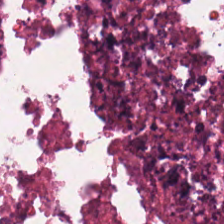Tissue: cellular debris.
